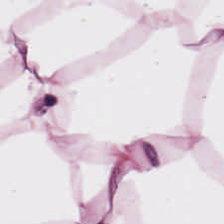H&E.
The predominant tissue is adipose.
